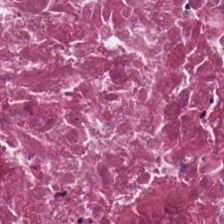H&E.
Showing necrotic debris.
